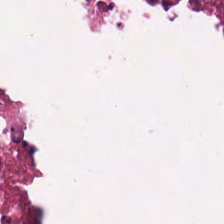Stain: H&E.
Acquisition: brightfield microscopy.
Resolution: 0.5 µm per pixel.
Tissue type: cellular debris.
